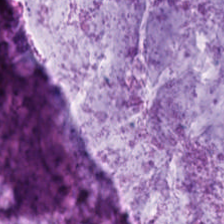H&E.
Extracellular mucin.
